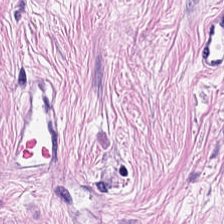This patch shows tumor stroma.
